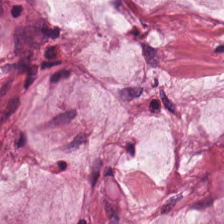Brightfield microscopy · H&E-stained tissue section · 20× equivalent magnification. Q: What is shown here?
A: It is mucin.
